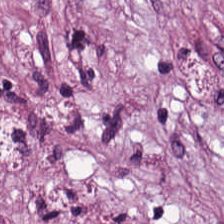H&E-stained section; the field shows cancer-associated stroma.
